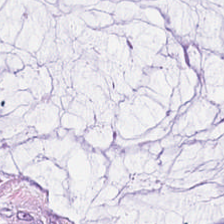Stain: hematoxylin-and-eosin stained section.
Tissue: mucus.
